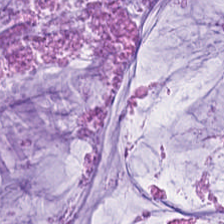Classification — mucin.
